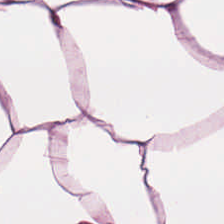Hematoxylin-and-eosin stained section; brightfield microscopy — {"tissue_type": "adipose tissue"}
